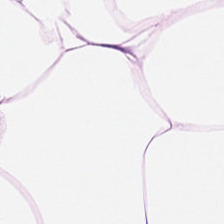224×224 px tile; hematoxylin and eosin.
The tissue here is adipose.
